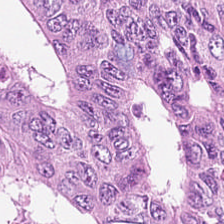H&E stain.
Predominant tissue = tumor epithelium.
